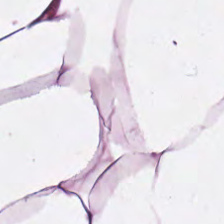Hematoxylin and eosin · 224×224 px tile · 20× equivalent magnification. Adipose tissue.
